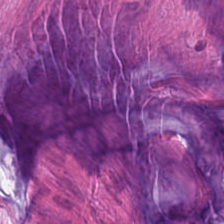H&E — mucin.
